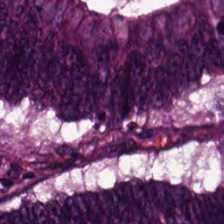Finding → adenocarcinoma.
